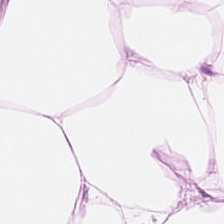H&E-stained tissue section — This field is fat tissue.
